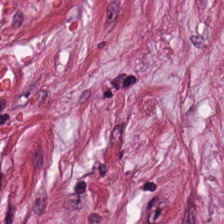Q: What type of tissue is this?
A: This is tumor stroma.
